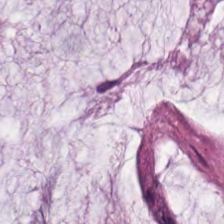Stain: H&E-stained tissue section.
Tissue: mucin.
